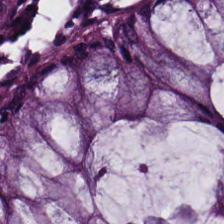H&E-stained section; the field shows normal colonic mucosa.
